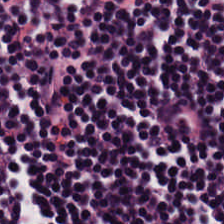H&E stain — {"tissue_type": "lymphocytic infiltrate"}
